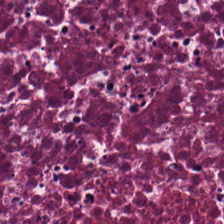H&E-stained tissue section.
{"tissue_type": "necrotic debris"}
